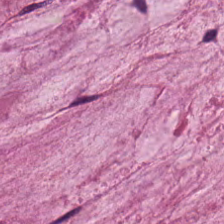Stain: hematoxylin-and-eosin stained section.
Acquisition: WSI patch.
Preparation: FFPE.
Tissue type: extracellular mucin.
